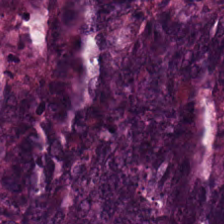Hematoxylin and eosin. The tissue here is malignant epithelium.
